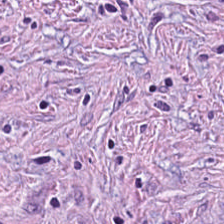H&E stain — The predominant tissue is desmoplastic stroma.
